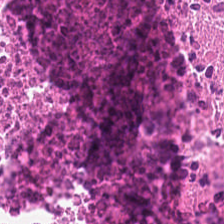H&E-stained tissue section.
The tissue class is debris.
